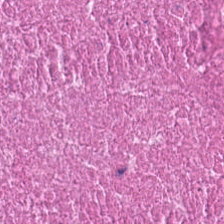0.5 microns per pixel · H&E stain. Predominant tissue: cellular debris.
